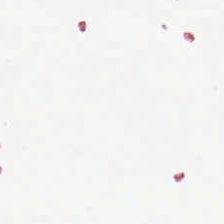H&E-stained tissue section · 224×224 pixel tile — Finding → background.
